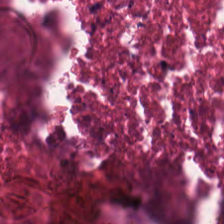224×224 pixel tile · hematoxylin and eosin.
The tissue here is debris.
